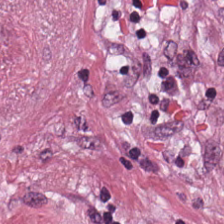H&E-stained tissue section — Tissue = tumor-associated stroma.
